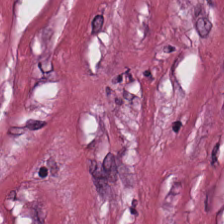Whole-slide-image patch; H&E stain.
Tissue — tumor-associated stroma.
